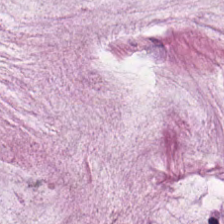Stain: hematoxylin and eosin.
Tissue: extracellular mucin.
